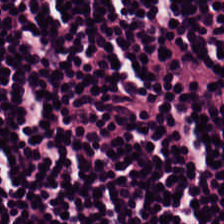WSI patch; 224×224 px tile; H&E-stained tissue section. Impression — lymphocytes.
